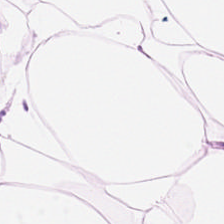Hematoxylin and eosin. Predominant tissue — adipocytes.
